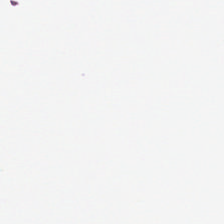FFPE. 224×224 pixel tile. Hematoxylin and eosin.
Content — empty background.
